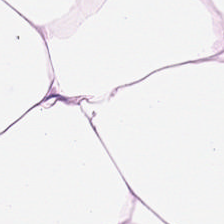The tissue type is adipose tissue.
